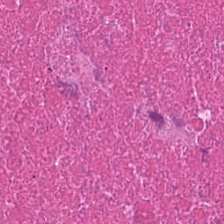0.5 µm/px; H&E.
Q: Identify the tissue.
A: The field shows debris.
